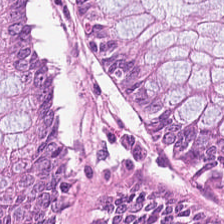H&E-stained section; the field shows normal colon mucosa.
